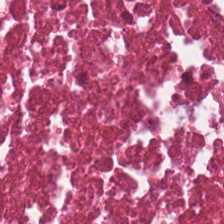FFPE tissue section · hematoxylin and eosin — Tissue class: debris.
